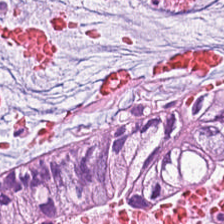{"tissue_type": "extracellular mucin"}
